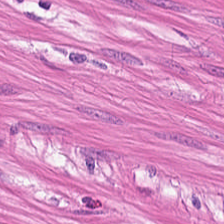Formalin-fixed paraffin-embedded section · H&E stain. Q: What is the predominant tissue type?
A: It is smooth muscle.
